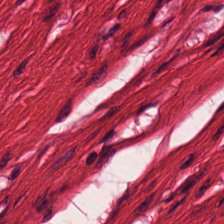Q: What is shown in this field?
A: This is smooth-muscle tissue.
